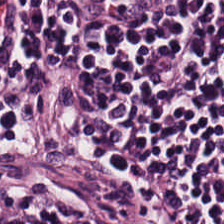224×224 pixel tile. 0.5 µm per pixel. Hematoxylin and eosin.
Predominant tissue — lymphocyte aggregate.
